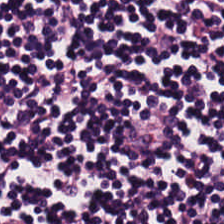H&E patch showing lymphoid infiltrate.
